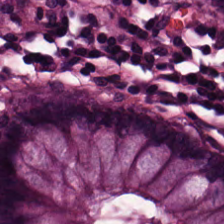H&E stain. FFPE. 0.5 microns per pixel. Finding → benign colonic mucosa.
